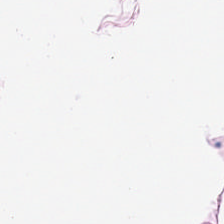{"tissue_type": "adipocytes"}
